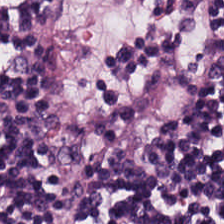H&E stain. 224×224 px patch. FFPE.
Predominant tissue: lymphocytic infiltrate.
